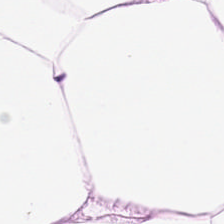Brightfield microscopy; FFPE tissue section; H&E.
This patch shows fat tissue.
